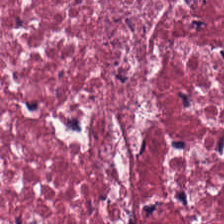Hematoxylin and eosin. Impression — desmoplastic stroma.
